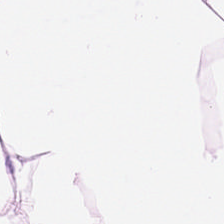Hematoxylin and eosin.
Predominantly adipose tissue.
